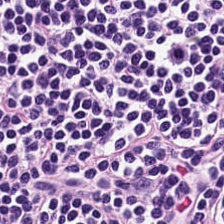FFPE tissue section. H&E-stained tissue section. 224×224 px tile. Histology — lymphocyte aggregate.
